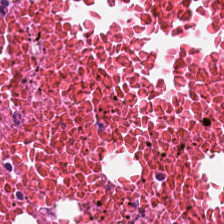Hematoxylin and eosin · brightfield · 224×224 pixel tile — Cellular debris.
